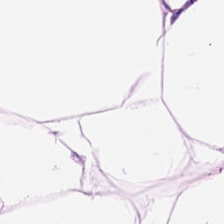H&E stain · brightfield · 0.5 µm per pixel. Tissue = adipose tissue.
